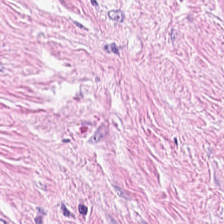H&E-stained tissue section showing desmoplastic stroma.
